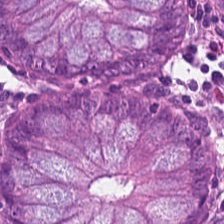Predominant tissue: benign colonic mucosa.
